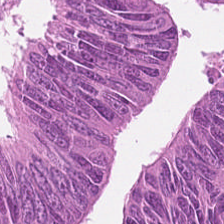Hematoxylin-and-eosin stained section — The tissue is adenocarcinoma.
